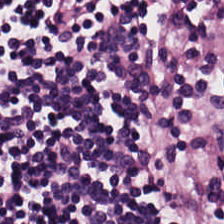224×224 px patch. H&E stain. Formalin-fixed paraffin-embedded section — Q: What is shown in this field?
A: This is lymphocytes.
